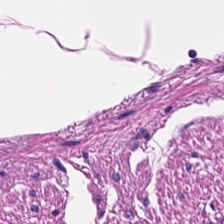Histology → smooth-muscle tissue.
